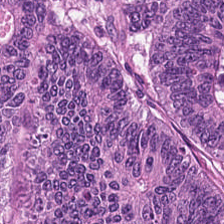FFPE · hematoxylin and eosin · brightfield microscopy. This field is colorectal adenocarcinoma.
